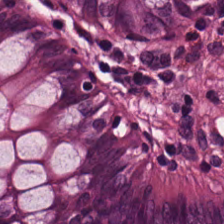224×224 px tile; H&E stain. Finding → benign colonic mucosa.
